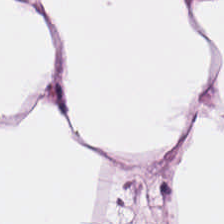H&E-stained tissue section.
The classification is adipose.
